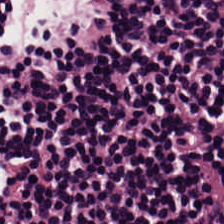H&E stain. The tissue class is lymphocytic infiltrate.
